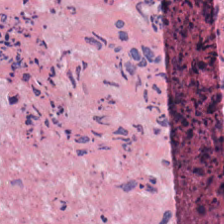Brightfield microscopy; H&E stain; 0.5 microns per pixel.
Classification = necrotic debris.
